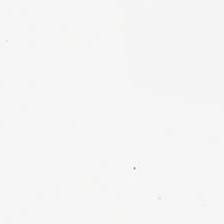Hematoxylin and eosin. Q: What does this patch show?
A: The field shows background (no tissue).
